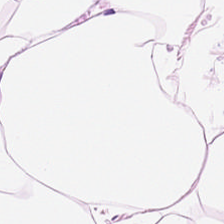H&E patch showing fat tissue.
